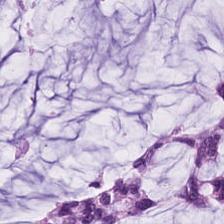Tissue class: mucin.
